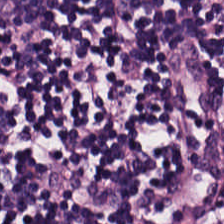H&E. This patch shows lymphocyte aggregate.
